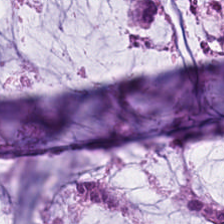H&E stain · 224×224 px patch. The tissue here is extracellular mucin.
